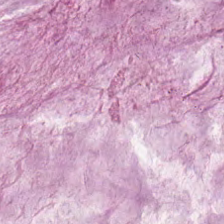Stain: H&E-stained tissue section.
Predominant tissue: mucin.
